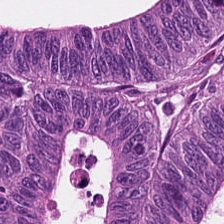H&E stain. 20× equivalent magnification. This field is colorectal adenocarcinoma.
